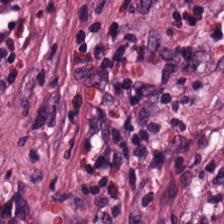224×224 px tile; hematoxylin-and-eosin stained section.
The predominant tissue is tumor stroma.
